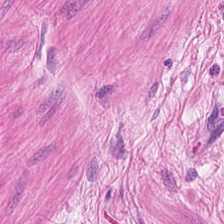Predominant tissue = smooth-muscle tissue.
